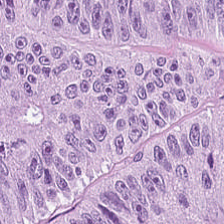Hematoxylin and eosin · formalin-fixed paraffin-embedded section — Impression — adenocarcinoma.
